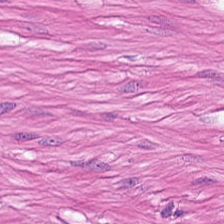H&E-stained tissue section — Histology — smooth muscle.
